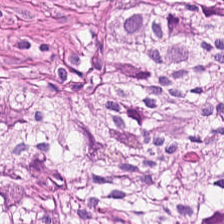H&E-stained tissue section.
The tissue here is smooth muscle.
